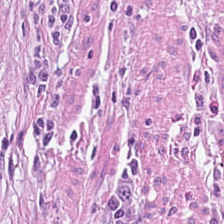Whole-slide-image patch · 224×224 pixel tile · hematoxylin and eosin.
{"tissue_type": "tumor stroma"}
